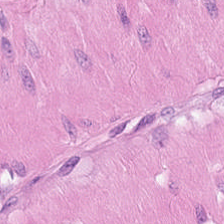Stain: H&E-stained tissue section.
Tissue type: smooth muscle.
